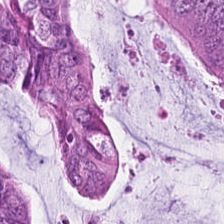Hematoxylin and eosin. Formalin-fixed paraffin-embedded section.
The predominant tissue is colorectal adenocarcinoma.
